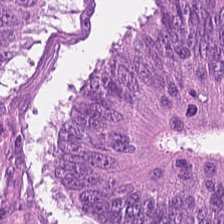Predominant tissue: colorectal adenocarcinoma.
